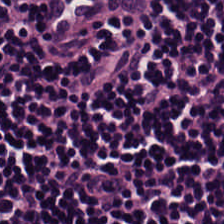Hematoxylin and eosin. WSI patch — Histology — lymphocyte aggregate.
